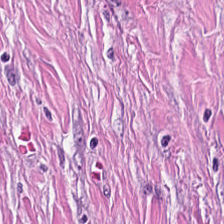H&E-stained tissue section. Brightfield. Tissue class: desmoplastic stroma.
